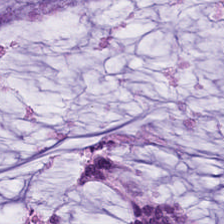H&E. Q: Identify the tissue.
A: It is mucin.
